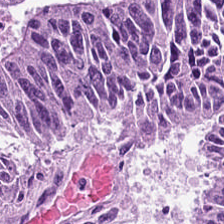224×224 px patch · 0.5 µm/px · hematoxylin and eosin.
Showing adenocarcinoma.
